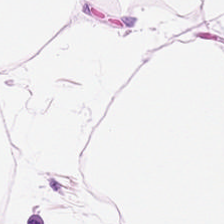Stain: H&E-stained tissue section.
Preparation: FFPE tissue section.
Tissue class: adipose.
